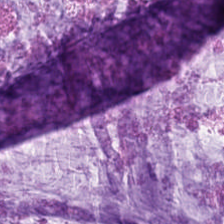Hematoxylin and eosin. Histology — mucin.
